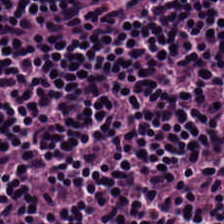Hematoxylin-and-eosin stained section; formalin-fixed paraffin-embedded section.
Q: What is the predominant tissue type?
A: It is lymphocytes.
